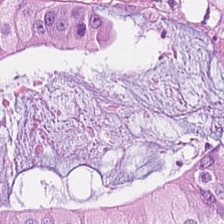224×224 pixel tile; H&E-stained tissue section. This field is adenocarcinoma.
